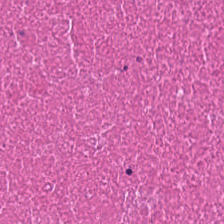FFPE tissue section; WSI patch; hematoxylin and eosin.
Impression — debris.
